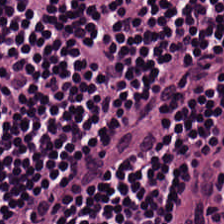Hematoxylin and eosin; WSI patch; 224×224 px tile.
Tissue type: lymphocytic infiltrate.
